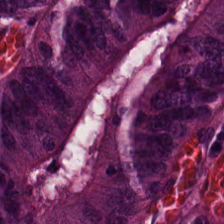H&E-stained tissue section; formalin-fixed paraffin-embedded section; 224×224 px tile — Showing colorectal adenocarcinoma epithelium.
